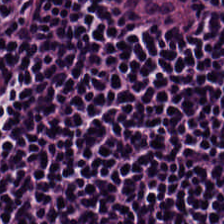H&E stain.
Q: What tissue is shown?
A: This is lymphocytes.
